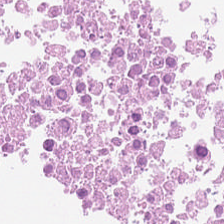Stain: H&E.
Predominant tissue: debris.
